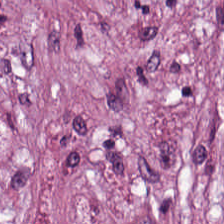H&E stain.
Tissue class: tumor-associated stroma.
